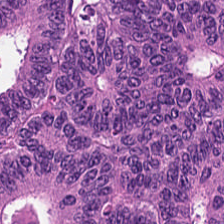H&E stain · 224×224 px patch. The predominant tissue is colorectal adenocarcinoma.
